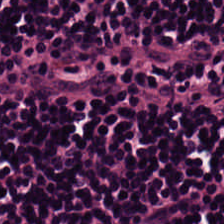H&E stain.
The predominant tissue is lymphocytic infiltrate.
